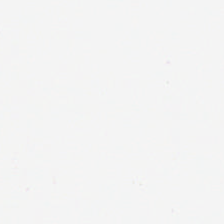Stain: H&E.
Classification: background (no tissue).
